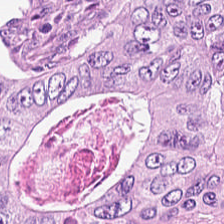WSI patch; 224×224 px patch; H&E. Showing colorectal adenocarcinoma epithelium.
